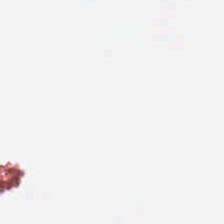Stain: H&E-stained tissue section.
Classification: no tissue.
